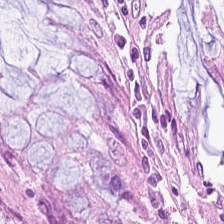224×224 pixel tile. Hematoxylin and eosin. This patch shows normal colon mucosa.
